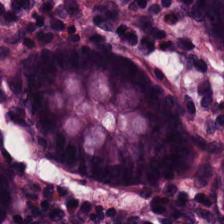H&E. 224×224 pixel tile.
Non-neoplastic colon mucosa.
